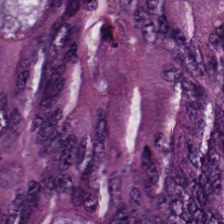Hematoxylin-and-eosin stained section · 0.5 µm per pixel.
Tissue class: colorectal adenocarcinoma.
